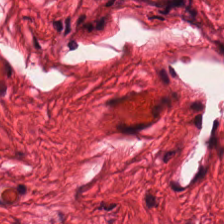0.5 µm per pixel; hematoxylin-and-eosin stained section. Q: What tissue is shown?
A: Smooth muscle.
